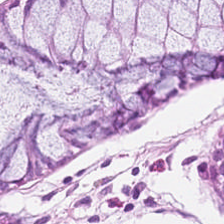Whole-slide-image patch; H&E stain — Predominantly benign colonic mucosa.
